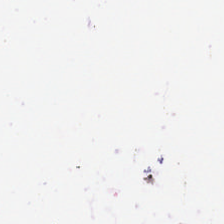Brightfield microscopy; H&E stain. Q: What is shown here?
A: Empty background.
